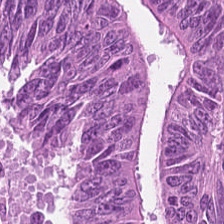Impression → colorectal adenocarcinoma epithelium.
